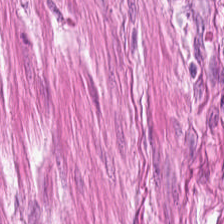H&E-stained tissue section. 224×224 px tile. 0.5 µm/px — This patch shows smooth-muscle tissue.
